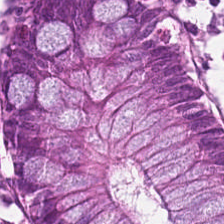Stain: H&E stain.
Tissue: normal colon mucosa.
